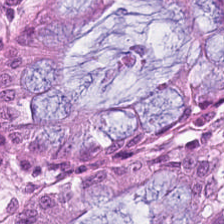Hematoxylin and eosin; WSI patch; FFPE.
Q: Identify the tissue.
A: The field shows normal colon mucosa.
